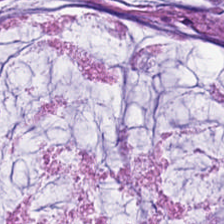Stain: hematoxylin-and-eosin stained section.
Predominant tissue: mucin.
